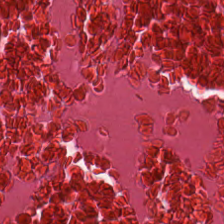Classification = necrotic debris.
